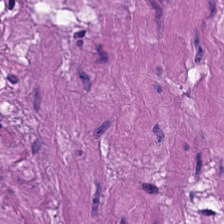Smooth-muscle tissue.
